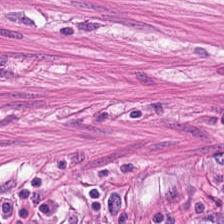FFPE · 224×224 px patch · hematoxylin and eosin. Smooth-muscle tissue.
